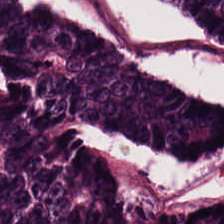H&E stain.
Q: What is shown here?
A: Colorectal adenocarcinoma epithelium.
